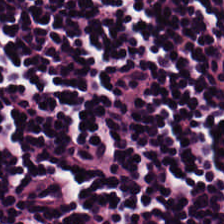Hematoxylin and eosin.
Predominant tissue = lymphocyte aggregate.
